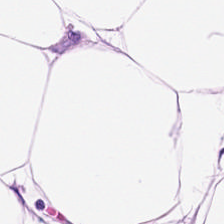H&E — Q: What is shown here?
A: It is adipose tissue.
